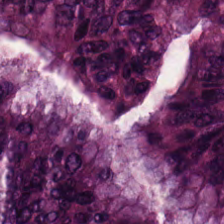Hematoxylin and eosin; 224×224 px tile; WSI patch.
Showing tumor epithelium.
